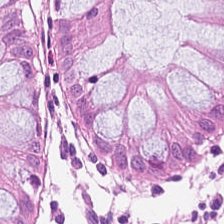H&E-stained tissue section.
The tissue is normal colon mucosa.
